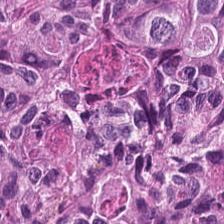Q: What does this patch show?
A: It is tumor epithelium.
